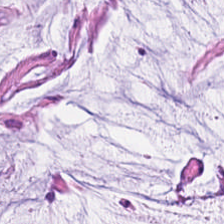224×224 pixel tile · H&E-stained tissue section. {"tissue_type": "mucus"}
